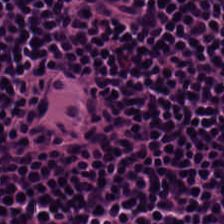The tissue type is lymphocyte aggregate.
